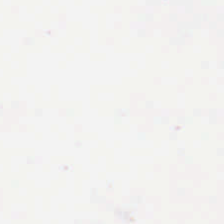20× equivalent magnification · hematoxylin and eosin · brightfield.
The field content is background (no tissue).
